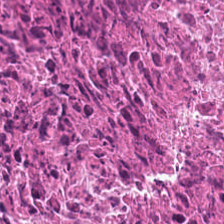H&E. Formalin-fixed paraffin-embedded section.
This patch shows debris.
